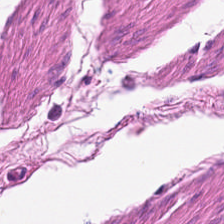Hematoxylin and eosin. Q: What tissue is shown?
A: This is muscularis.
